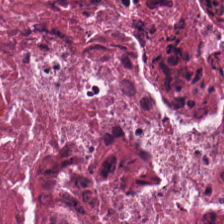Stain: hematoxylin and eosin.
Tissue: cellular debris.
